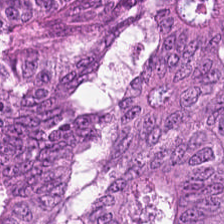Hematoxylin-and-eosin stained section.
Q: Classify this patch.
A: It is tumor epithelium.
